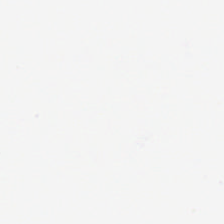0.5 µm per pixel; H&E stain. This field is background (no tissue).
